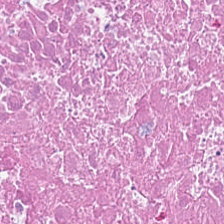Hematoxylin-and-eosin stained section. Cellular debris.
